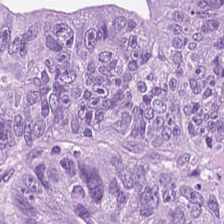H&E — Showing tumor epithelium.
